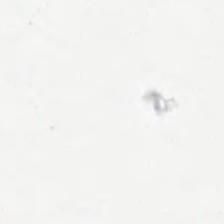H&E — Impression → background.
